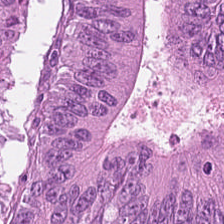Q: What tissue is shown?
A: This is colorectal adenocarcinoma.
